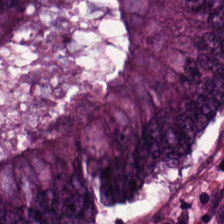WSI patch. Hematoxylin and eosin. Formalin-fixed paraffin-embedded section — Tissue type: colorectal adenocarcinoma.
